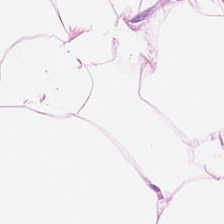H&E.
The tissue here is adipocytes.
